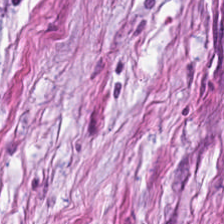Hematoxylin and eosin. 224×224 px patch — The predominant tissue is desmoplastic stroma.
